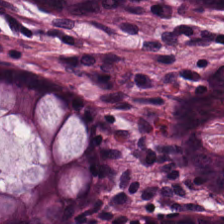224×224 px patch · H&E stain · FFPE.
Tissue = non-neoplastic colon mucosa.
